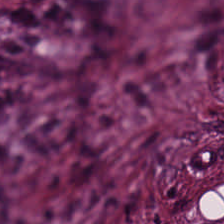Classification: cancer-associated stroma.
